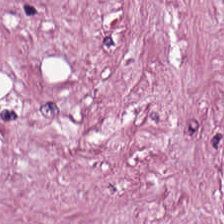Predominant tissue: tumor-associated stroma.
